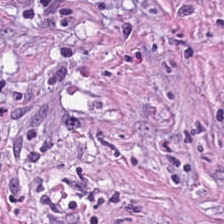Stain: H&E.
Acquisition: brightfield.
Tissue class: desmoplastic stroma.
